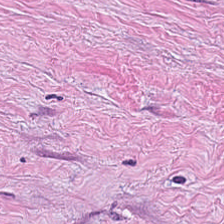Hematoxylin and eosin · formalin-fixed paraffin-embedded section — Showing tumor-associated stroma.
